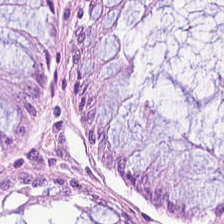Q: What is shown in this field?
A: The field shows normal colonic mucosa.
